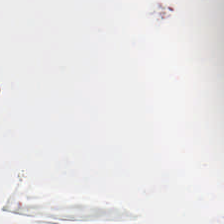224×224 pixel tile. H&E-stained tissue section. Field content: background.
